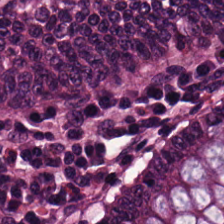H&E stain · WSI patch. The tissue class is benign colonic mucosa.
